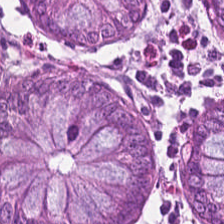H&E; 224×224 px tile.
The tissue is normal colon mucosa.
